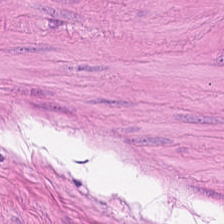Predominantly smooth muscle.
